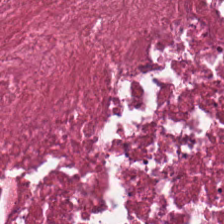H&E-stained tissue section; brightfield microscopy; 0.5 µm per pixel — Classification — necrotic debris.
